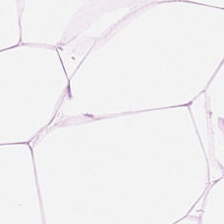H&E stain.
{"tissue_type": "adipocytes"}
